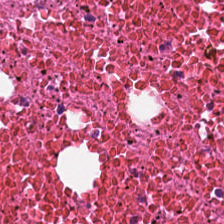Stain: H&E stain.
Resolution: 20× equivalent magnification.
Acquisition: whole-slide-image patch.
Predominant tissue: necrotic debris.
